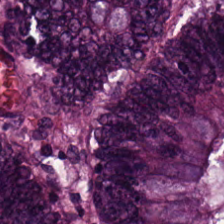20× equivalent magnification. Hematoxylin-and-eosin stained section. Malignant epithelium.
